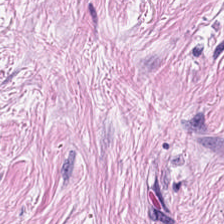Hematoxylin-and-eosin section: desmoplastic stroma.
